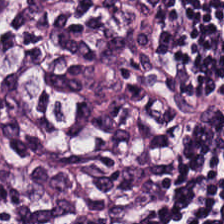Stain: H&E-stained tissue section.
Tissue: lymphocyte aggregate.
